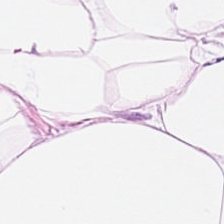Tissue class: adipocytes.
